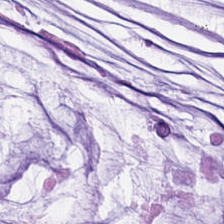Stain: H&E.
Tissue: extracellular mucin.
